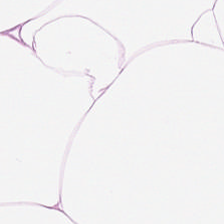This patch shows adipocytes.
